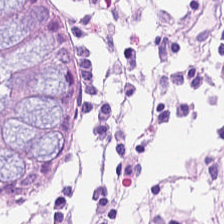H&E — benign colonic mucosa.
